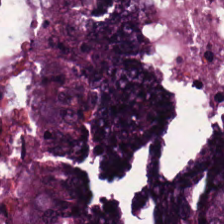H&E-stained tissue section · FFPE tissue section.
Tissue class = colorectal adenocarcinoma epithelium.
